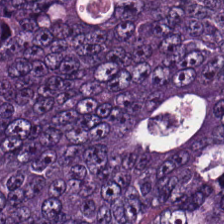H&E · 0.5 µm/px. {"tissue_type": "tumor epithelium"}
